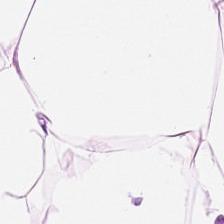224×224 px tile · 20× equivalent magnification · H&E stain.
This field is adipose tissue.
